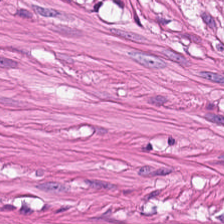Hematoxylin-and-eosin stained section. Finding — smooth-muscle tissue.
